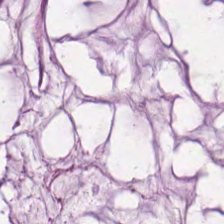Hematoxylin and eosin. Formalin-fixed paraffin-embedded section. 224×224 px tile — Q: Classify this patch.
A: This is mucin.
